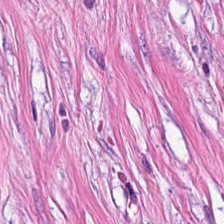H&E — desmoplastic stroma.
